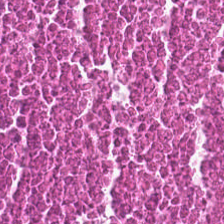Predominantly necrotic debris.
